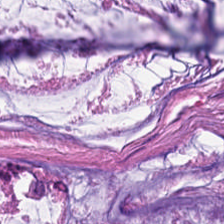Stain: H&E.
Resolution: 0.5 µm/px.
Tissue class: mucus.
